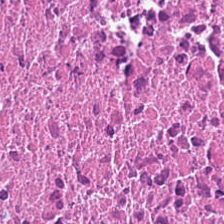Hematoxylin-and-eosin section: debris.
